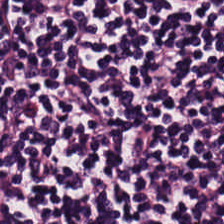H&E; formalin-fixed paraffin-embedded section. Q: What does this patch show?
A: It is lymphocytes.
